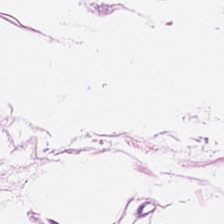WSI patch. Hematoxylin-and-eosin stained section — This field is adipose tissue.
